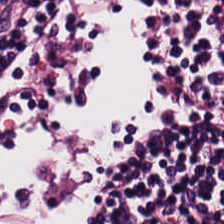Hematoxylin-and-eosin stained section; 20× equivalent magnification. Classification = lymphocyte aggregate.
